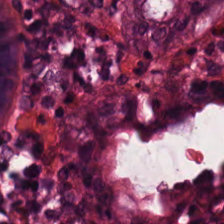20× equivalent magnification. H&E stain.
The predominant tissue is normal colon mucosa.
